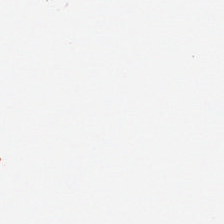Hematoxylin-and-eosin stained section. Background.
